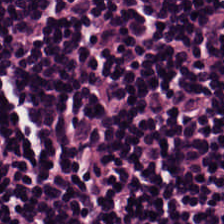H&E. 224×224 pixel tile. 0.5 microns per pixel.
The predominant tissue is lymphoid infiltrate.
